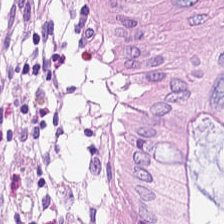Stain: H&E stain.
Acquisition: WSI patch.
Tissue type: normal colon mucosa.
